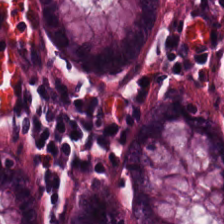Stain: H&E stain.
Tissue: non-neoplastic colon mucosa.
